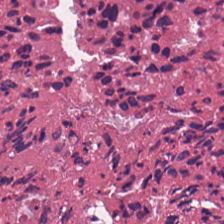H&E-stained tissue section; whole-slide-image patch; FFPE.
The predominant tissue is cellular debris.
